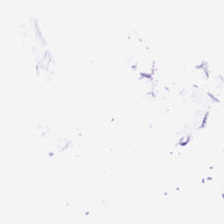Content — background (no tissue).
